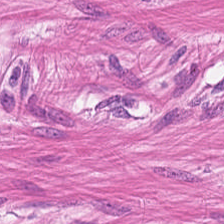WSI patch · FFPE tissue section · H&E — The tissue here is muscularis.
